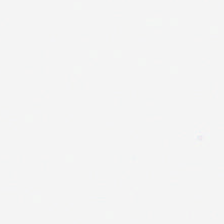Background.
